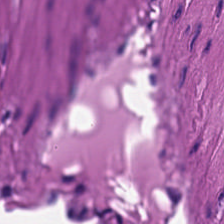H&E — Q: What is the predominant tissue type?
A: This is smooth-muscle tissue.
